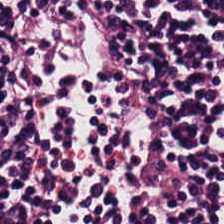Hematoxylin and eosin.
The tissue here is lymphocytes.
